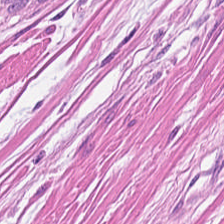Hematoxylin-and-eosin stained section. FFPE. 224×224 px tile — {"tissue_type": "smooth muscle"}
